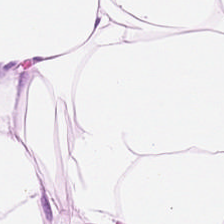H&E patch showing fat tissue.
